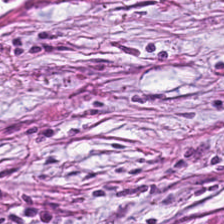Stain: H&E-stained tissue section.
Classification: cancer-associated stroma.
